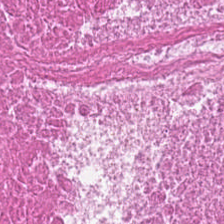H&E; 0.5 µm/px.
The predominant tissue is necrotic debris.
